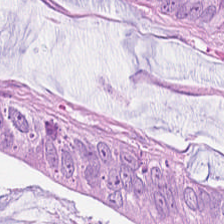224×224 px tile · H&E stain.
Q: Classify this patch.
A: The field shows malignant epithelium.
